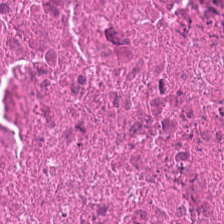Hematoxylin-and-eosin stained section. Brightfield microscopy. 224×224 pixel tile — Cellular debris.
